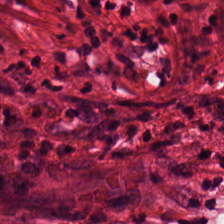Hematoxylin-and-eosin stained section.
The predominant tissue is tumor stroma.
